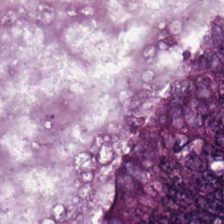Q: What tissue type is shown here?
A: Malignant epithelium.
